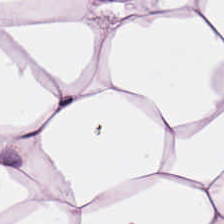H&E. Q: What tissue is shown?
A: Fat tissue.
